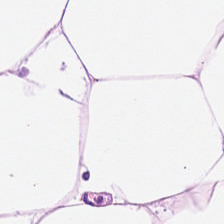Hematoxylin and eosin — This patch shows fat tissue.
